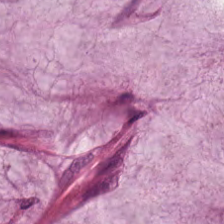Hematoxylin and eosin. The predominant tissue is mucin.
